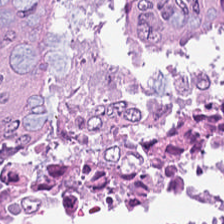Hematoxylin and eosin; formalin-fixed paraffin-embedded section. Q: What tissue type is shown here?
A: This is colorectal adenocarcinoma epithelium.
